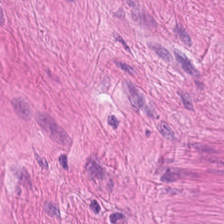H&E-stained tissue section. Whole-slide-image patch. Finding → muscularis.
